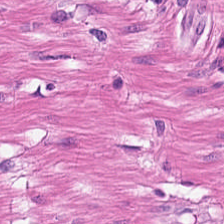H&E.
Impression — smooth muscle.
